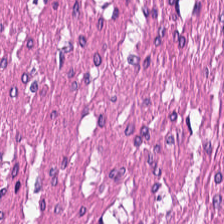224×224 px tile. Hematoxylin-and-eosin stained section.
This patch shows smooth-muscle tissue.
